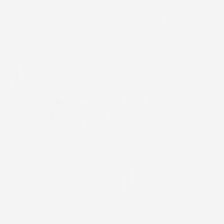H&E-stained tissue section.
The field content is no tissue.
